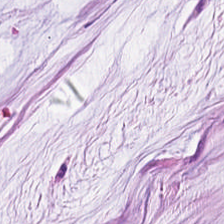Hematoxylin and eosin; 224×224 pixel tile; FFPE tissue section.
{"tissue_type": "extracellular mucin"}
